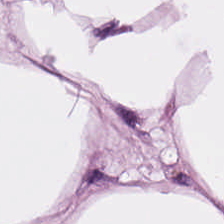FFPE tissue section. H&E stain. Histology — adipose.
